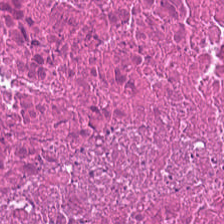Stain: H&E stain.
Predominant tissue: cellular debris.
